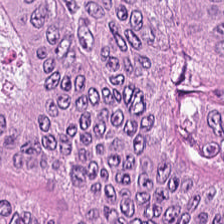H&E-stained tissue section.
Showing colorectal adenocarcinoma epithelium.
